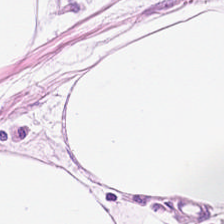224×224 px patch · H&E — {"tissue_type": "adipose tissue"}
